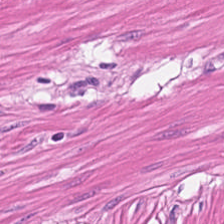H&E stain · 224×224 pixel tile. This patch shows smooth-muscle tissue.
